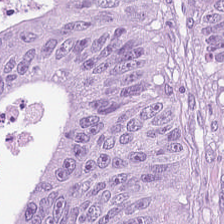Stain: hematoxylin and eosin.
Preparation: FFPE.
Resolution: 0.5 µm per pixel.
Tissue class: colorectal adenocarcinoma epithelium.
